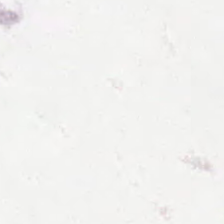Hematoxylin and eosin. 224×224 px tile. Field content: empty background.
